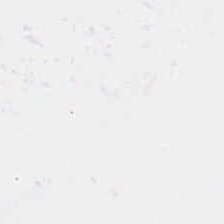Hematoxylin-and-eosin stained section — Field content — no tissue.
